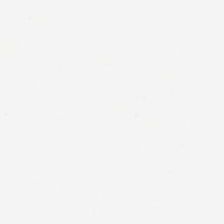Background — no tissue in this field.
